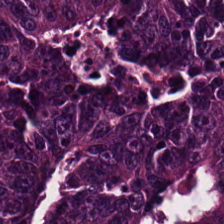The predominant tissue is colorectal adenocarcinoma.
